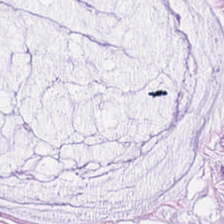H&E-stained tissue section.
The predominant tissue is extracellular mucin.
